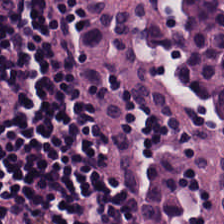H&E-stained tissue section · 224×224 pixel tile — Classification: lymphocyte aggregate.
